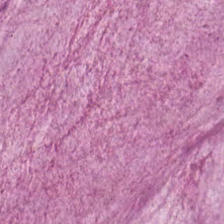0.5 µm/px · H&E-stained tissue section — The predominant tissue is mucin.
